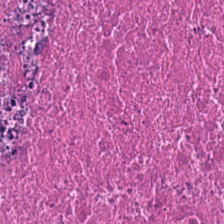Brightfield microscopy. H&E-stained tissue section. 224×224 pixel tile — Finding — necrotic debris.
